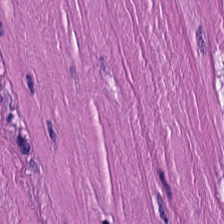H&E-stained tissue section · brightfield microscopy — Predominantly muscularis.
